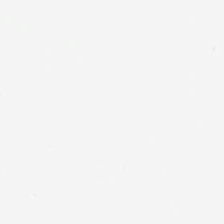0.5 µm/px. Hematoxylin-and-eosin stained section.
Content = background.
